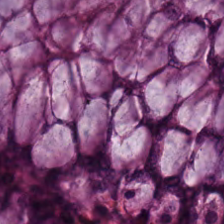H&E-stained tissue section; 0.5 µm/px. Finding → normal colonic mucosa.
